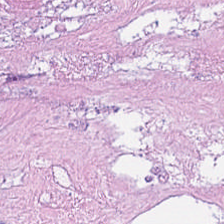Stain: H&E.
Acquisition: brightfield microscopy.
Preparation: FFPE.
Tissue type: necrotic debris.
